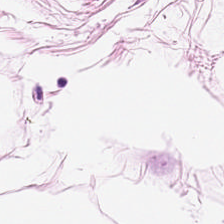Hematoxylin and eosin — Predominantly adipocytes.
